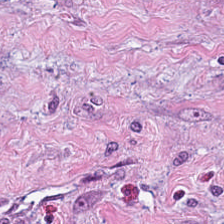Hematoxylin and eosin. {"tissue_type": "desmoplastic stroma"}
